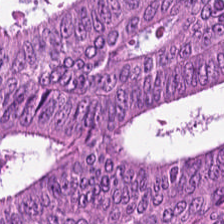FFPE. 224×224 px tile. Hematoxylin-and-eosin stained section. This field is malignant epithelium.
